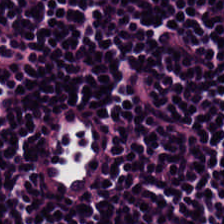0.5 microns per pixel; H&E. The classification is lymphocytes.
